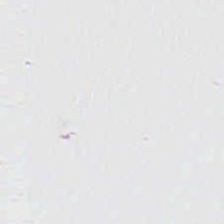Stain: hematoxylin-and-eosin stained section.
Field content: background (no tissue).
